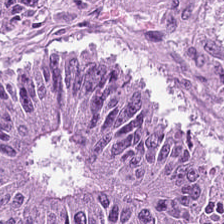Hematoxylin and eosin. Formalin-fixed paraffin-embedded section — {"tissue_type": "colorectal adenocarcinoma epithelium"}
